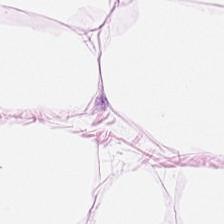Q: What is the predominant tissue type?
A: It is adipocytes.
